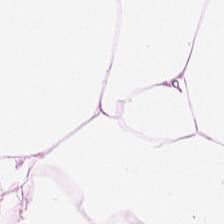224×224 px tile; WSI patch; hematoxylin-and-eosin stained section.
This patch shows adipose tissue.
